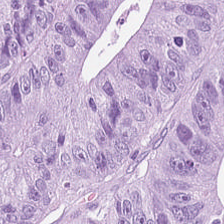H&E — The tissue here is colorectal adenocarcinoma epithelium.
